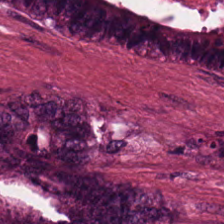Stain: hematoxylin and eosin.
Tissue type: tumor epithelium.
